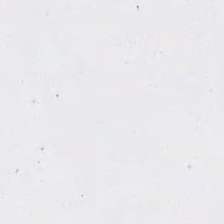Brightfield. H&E stain — Field content: no tissue.
